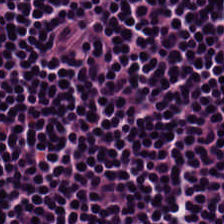Hematoxylin and eosin.
Q: Identify the tissue.
A: The field shows lymphocyte aggregate.
